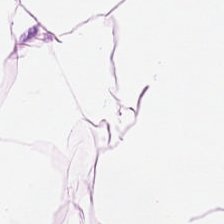H&E. Tissue type = adipose tissue.
